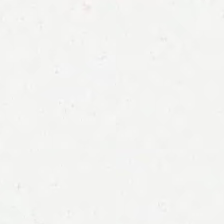Hematoxylin-and-eosin stained section.
{"content": "background (no tissue)"}
